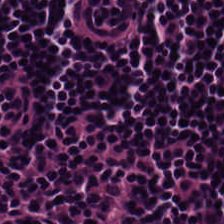H&E stain · 0.5 µm/px.
Tissue type: lymphocyte aggregate.
